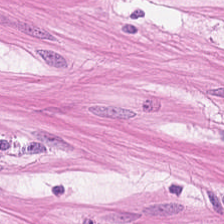H&E stain. FFPE tissue section. This field is smooth-muscle tissue.
